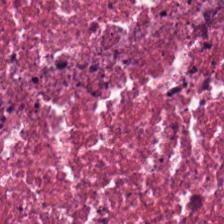The tissue class is necrotic debris.
